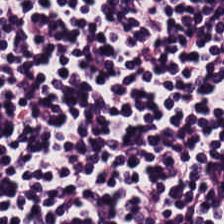H&E stain. {"tissue_type": "lymphoid infiltrate"}
